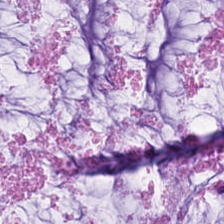Hematoxylin and eosin — Q: What is shown in this field?
A: It is extracellular mucin.
